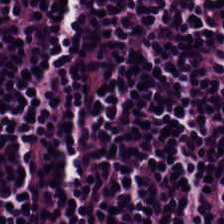H&E stain — Finding — lymphocyte aggregate.
